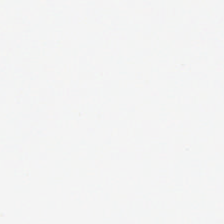Classification = background.
